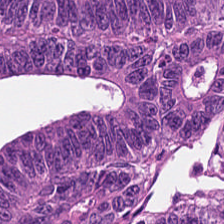224×224 px patch. H&E. The classification is adenocarcinoma.
